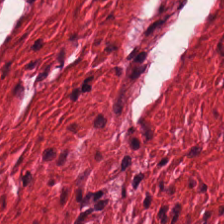0.5 µm/px. H&E.
Predominantly smooth muscle.
